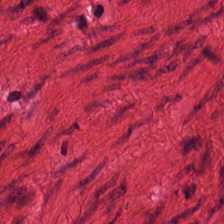Hematoxylin-and-eosin stained section · brightfield. Q: What is shown here?
A: Smooth-muscle tissue.
